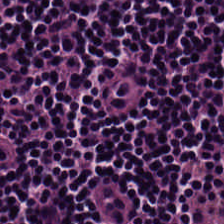Stain: H&E.
Predominant tissue: lymphocyte aggregate.
